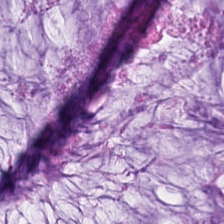Brightfield · H&E-stained tissue section — Q: What tissue type is shown here?
A: It is mucus.
